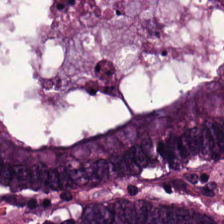Tissue = colorectal adenocarcinoma epithelium.
